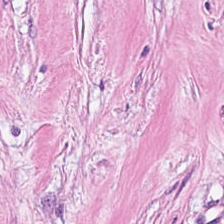This patch shows cancer-associated stroma.
